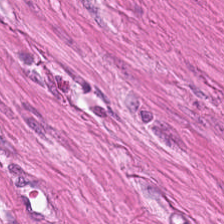H&E stain.
Tissue type: smooth-muscle tissue.
